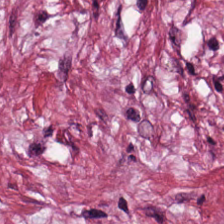H&E-stained tissue section · 224×224 pixel tile · whole-slide-image patch.
Showing tumor-associated stroma.
